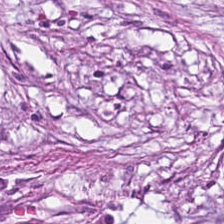Hematoxylin-and-eosin stained section; formalin-fixed paraffin-embedded section — Cancer-associated stroma.
